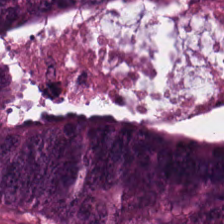H&E stain — {"tissue_type": "colorectal adenocarcinoma epithelium"}
